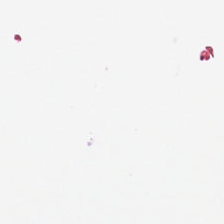Stain: hematoxylin and eosin.
Resolution: 20× equivalent magnification.
Content: empty background.
